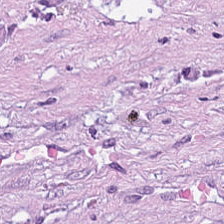H&E-stained tissue section. This patch shows desmoplastic stroma.
